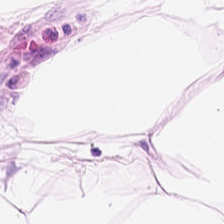H&E-stained tissue section. Predominantly adipose tissue.
